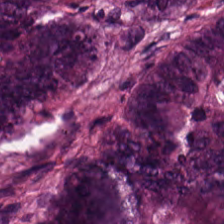Hematoxylin-and-eosin stained section; 0.5 microns per pixel — Q: Identify the tissue.
A: Adenocarcinoma.
